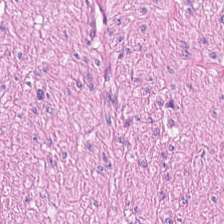0.5 µm/px. H&E. Brightfield microscopy — Q: What type of tissue is this?
A: Smooth muscle.
